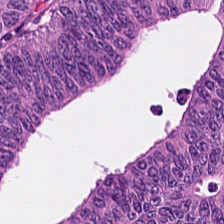Q: What does this patch show?
A: It is tumor epithelium.
